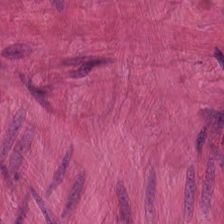H&E stain. Smooth muscle.
